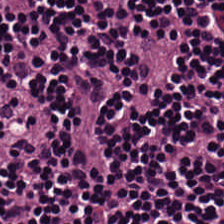Hematoxylin-and-eosin stained section — Showing lymphocytic infiltrate.
